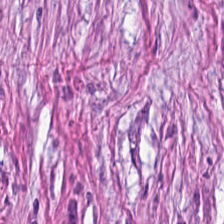Hematoxylin-and-eosin stained section · WSI patch · 0.5 µm per pixel — Predominant tissue — desmoplastic stroma.
